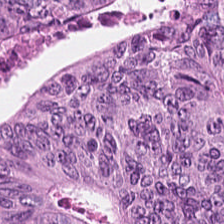Stain: H&E-stained tissue section.
Tissue type: malignant epithelium.
